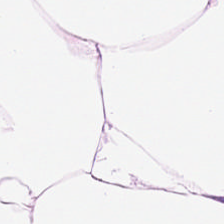Hematoxylin-and-eosin stained section.
Adipocytes.
